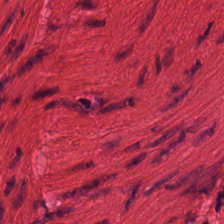0.5 µm per pixel. Hematoxylin and eosin. FFPE.
Classification: smooth muscle.
